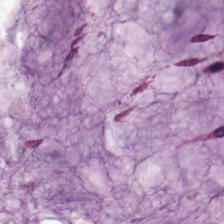WSI patch. H&E.
Q: What does this patch show?
A: Mucin.
